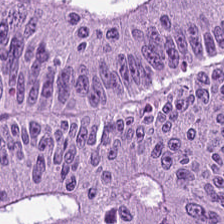Hematoxylin-and-eosin stained section — Tissue class = colorectal adenocarcinoma.
